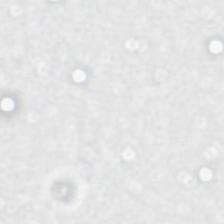Brightfield · H&E.
{"content": "no tissue"}
